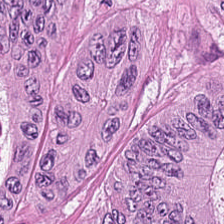20× equivalent magnification; hematoxylin-and-eosin stained section — The tissue type is adenocarcinoma.
